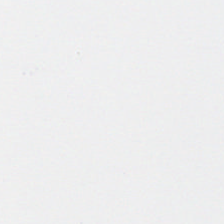H&E.
Histology — no tissue.
